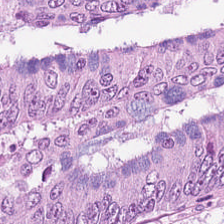H&E-stained tissue section. 20× equivalent magnification. Brightfield — Histology → colorectal adenocarcinoma epithelium.
